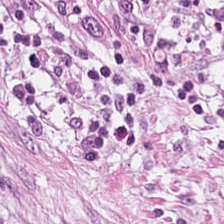FFPE; H&E; 224×224 px tile.
Tissue type — tumor-associated stroma.
